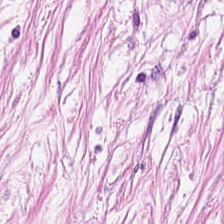224×224 px patch · hematoxylin and eosin · brightfield microscopy.
Classification — cancer-associated stroma.
